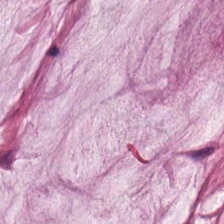WSI patch; H&E — Predominant tissue = mucus.
